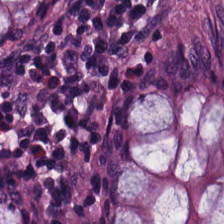H&E stain.
Predominantly benign colonic mucosa.
